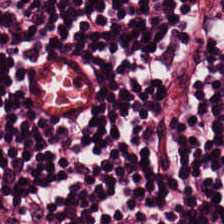FFPE; H&E.
Predominantly lymphocyte aggregate.
